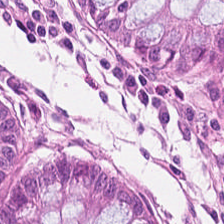H&E patch showing non-neoplastic colon mucosa.
